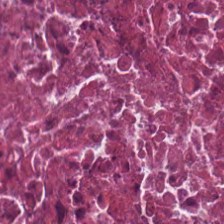H&E — Q: What tissue is shown?
A: The field shows necrotic debris.
